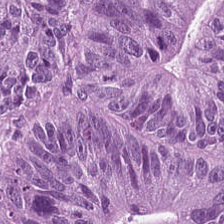Hematoxylin-and-eosin stained section; 0.5 µm/px — Showing malignant epithelium.
